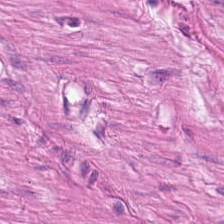0.5 µm/px · H&E stain. Tissue class — muscularis.
